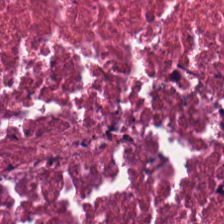H&E · whole-slide-image patch — Tissue = debris.
